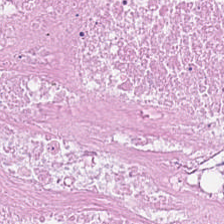H&E — cellular debris.
